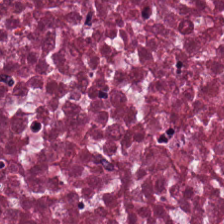Tissue: debris.
